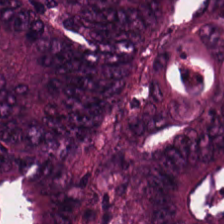H&E-stained tissue section. Predominantly adenocarcinoma.
